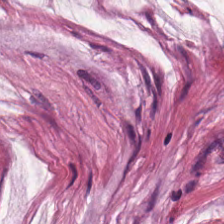H&E stain — Q: What is shown in this field?
A: It is mucus.
